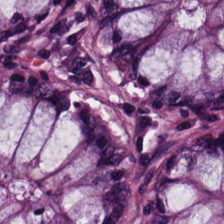H&E-stained tissue section. This patch shows normal colonic mucosa.
